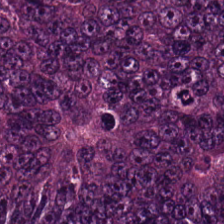H&E-stained tissue section showing tumor epithelium.
